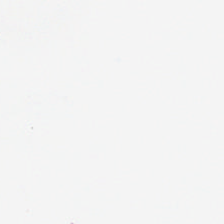H&E stain. Q: What does this patch show?
A: This is empty background.
